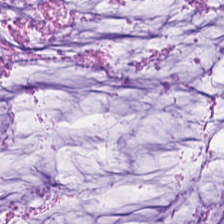WSI patch. Hematoxylin-and-eosin stained section — Tissue type = mucus.
